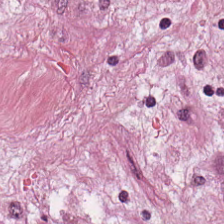Histology — desmoplastic stroma.
